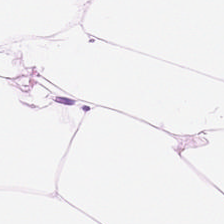Tissue class — adipocytes.
